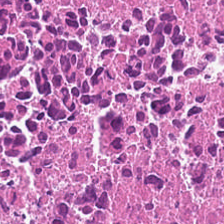Histology → debris.
